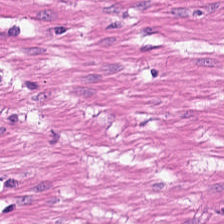H&E.
Tissue = smooth-muscle tissue.
